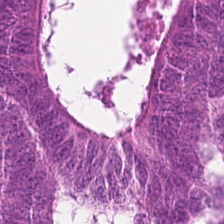Hematoxylin-and-eosin stained section · 224×224 px patch — The predominant tissue is colorectal adenocarcinoma epithelium.
